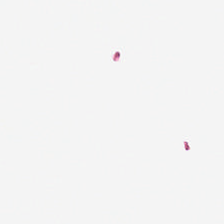224×224 pixel tile; H&E-stained tissue section — No tissue present; background only.
